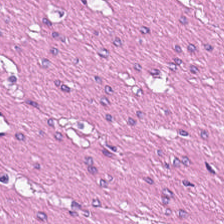224×224 px tile. 0.5 µm/px. H&E-stained tissue section — Tissue type: smooth-muscle tissue.
